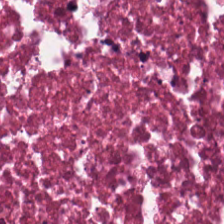Hematoxylin-and-eosin stained section. Formalin-fixed paraffin-embedded section. Classification = necrotic debris.
